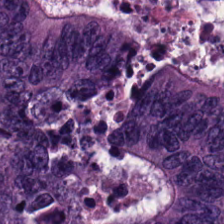0.5 µm per pixel; H&E-stained tissue section; 224×224 pixel tile.
This patch shows tumor epithelium.
